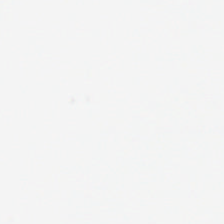Hematoxylin and eosin.
Content: background.
